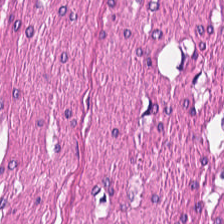Hematoxylin and eosin · 224×224 px tile.
Tissue type: smooth-muscle tissue.
